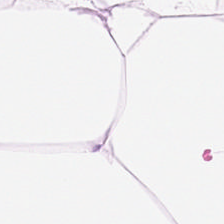H&E stain. This patch shows fat tissue.
